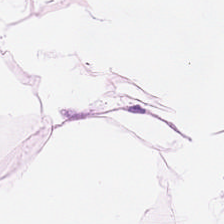224×224 px tile · H&E · formalin-fixed paraffin-embedded section. Q: What type of tissue is this?
A: This is adipose.
